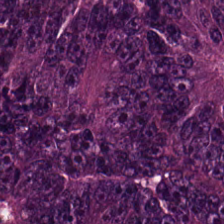The predominant tissue is colorectal adenocarcinoma epithelium.
